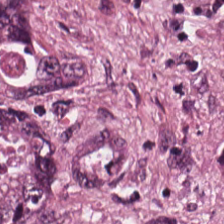Brightfield microscopy. H&E — Tissue type = malignant epithelium.
